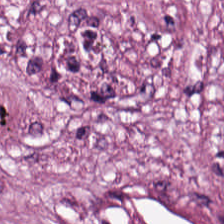H&E stain. 20× equivalent magnification. Whole-slide-image patch — {"tissue_type": "tumor-associated stroma"}
